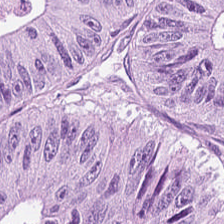Stain: H&E stain.
Classification: colorectal adenocarcinoma.
